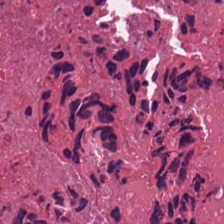Impression — necrotic debris.
